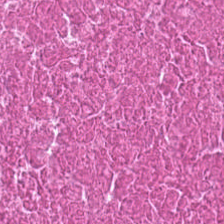H&E; whole-slide-image patch; FFPE tissue section. Necrotic debris.
